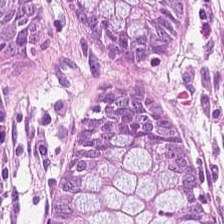Hematoxylin-and-eosin stained section. Q: What is shown here?
A: It is normal colon mucosa.
